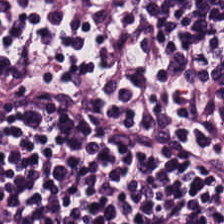H&E-stained tissue section; formalin-fixed paraffin-embedded section.
The tissue here is lymphocyte aggregate.
